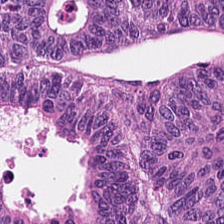224×224 px patch. Hematoxylin-and-eosin stained section. 20× equivalent magnification.
Tissue type = tumor epithelium.
